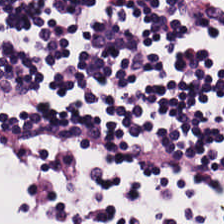Showing lymphoid infiltrate.
